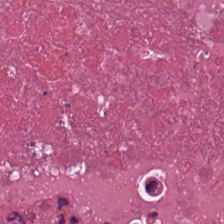Stain: H&E stain.
Predominant tissue: cellular debris.
